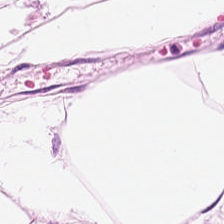Stain: H&E stain.
Classification: adipose tissue.
